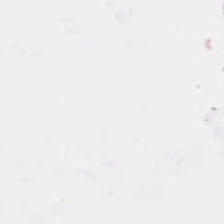Stain: H&E-stained tissue section.
Classification: empty background.
